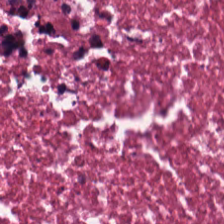FFPE tissue section · H&E · 224×224 px tile.
Showing necrotic debris.
